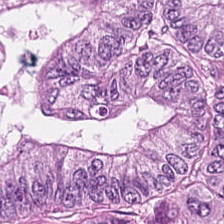Q: What type of tissue is this?
A: Tumor epithelium.
